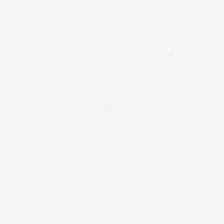Hematoxylin-and-eosin stained section — Histology — background (no tissue).
